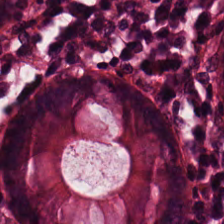Q: What type of tissue is this?
A: Normal colon mucosa.
